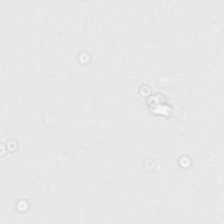H&E; brightfield microscopy.
Q: What does this patch show?
A: It is background.
